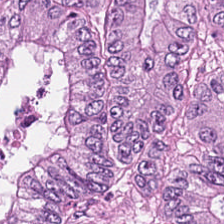Stain: hematoxylin-and-eosin stained section.
Tile size: 224×224 px patch.
Classification: colorectal adenocarcinoma epithelium.
